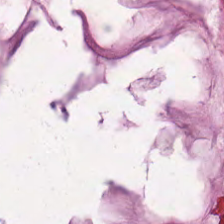H&E-stained tissue section. This field is extracellular mucin.
